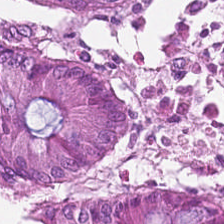Stain: H&E.
Predominant tissue: benign colonic mucosa.
